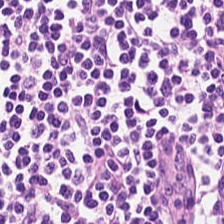The predominant tissue is lymphoid infiltrate.
